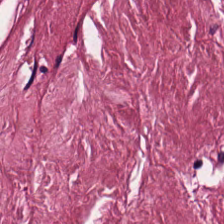H&E.
{"tissue_type": "tumor stroma"}
